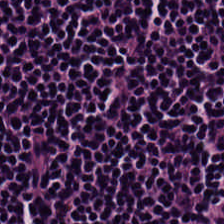H&E. Classification — lymphoid infiltrate.
